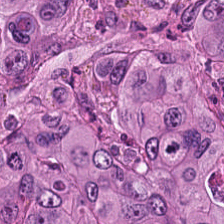Colorectal adenocarcinoma.
